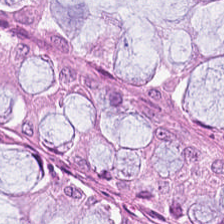Hematoxylin and eosin. Formalin-fixed paraffin-embedded section. 224×224 px patch.
Benign colonic mucosa.
